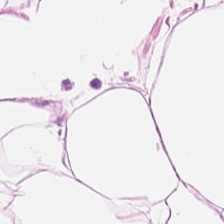Hematoxylin and eosin.
This field is adipocytes.
